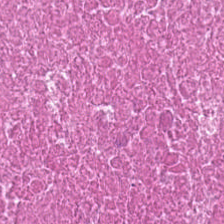This patch shows debris.
